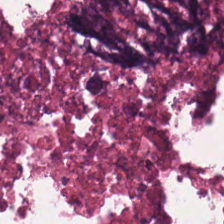Hematoxylin-and-eosin stained section.
Q: What is shown in this field?
A: This is necrotic debris.
